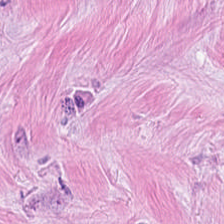Predominant tissue = desmoplastic stroma.
